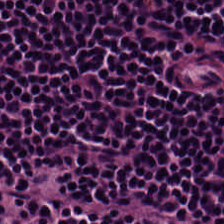H&E-stained tissue section — Q: What is the predominant tissue type?
A: It is lymphoid infiltrate.
